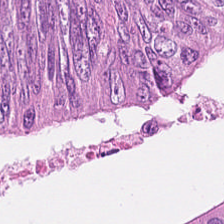20× equivalent magnification; 224×224 px tile; H&E-stained tissue section. Impression → tumor epithelium.
